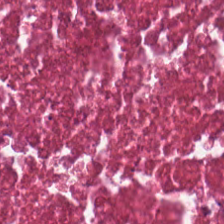0.5 microns per pixel; hematoxylin and eosin; FFPE tissue section — This field is cellular debris.
